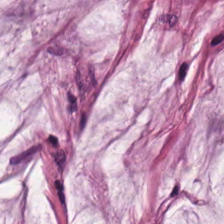H&E-stained tissue section — This field is mucus.
